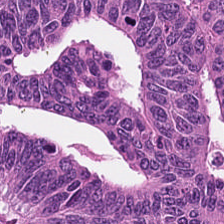Hematoxylin-and-eosin stained section · 20× equivalent magnification — Classification: malignant epithelium.
